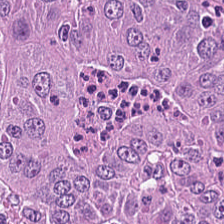224×224 pixel tile; H&E stain.
Q: What type of tissue is this?
A: Tumor epithelium.
